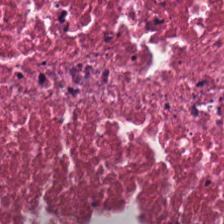20× equivalent magnification. Hematoxylin and eosin. WSI patch.
Q: What type of tissue is this?
A: The field shows cellular debris.
